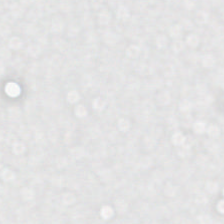Classification = background.
